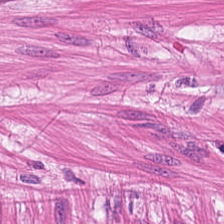Tissue class — smooth-muscle tissue.
